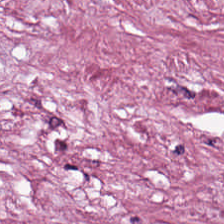H&E stain.
Desmoplastic stroma.
